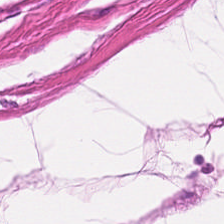Formalin-fixed paraffin-embedded section · 224×224 pixel tile · hematoxylin-and-eosin stained section.
Impression — smooth muscle.
